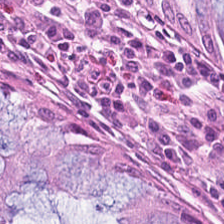The tissue is normal colon mucosa.
